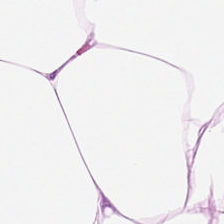Whole-slide-image patch · hematoxylin-and-eosin stained section · 224×224 px tile.
Q: What is shown here?
A: The field shows adipocytes.
